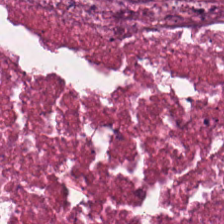Tissue class: cellular debris.
